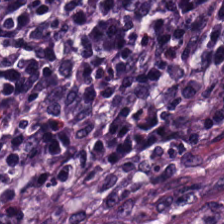Formalin-fixed paraffin-embedded section; hematoxylin and eosin; 224×224 pixel tile.
{"tissue_type": "lymphocyte aggregate"}
